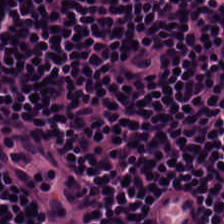Formalin-fixed paraffin-embedded section. H&E-stained tissue section.
Lymphocyte aggregate.
